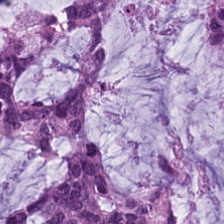Hematoxylin and eosin.
Finding — mucus.
